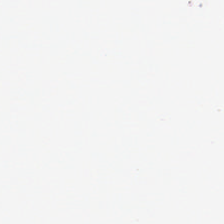20× equivalent magnification; hematoxylin-and-eosin stained section — This patch shows empty background.
